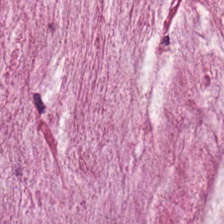Hematoxylin-and-eosin stained section · 224×224 pixel tile · brightfield microscopy. This patch shows mucin.
